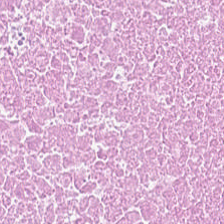Hematoxylin and eosin — This field is debris.
